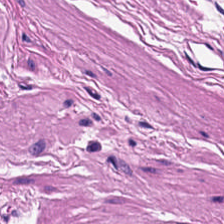H&E; brightfield. Smooth muscle.
